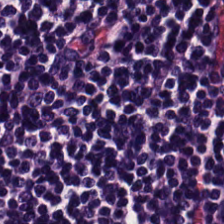Stain: hematoxylin and eosin.
Predominant tissue: lymphoid infiltrate.
